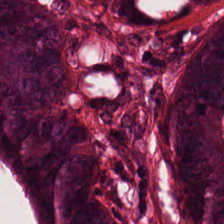Hematoxylin and eosin — Showing adenocarcinoma.
